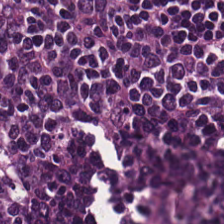H&E stain. Classification — lymphocytic infiltrate.
